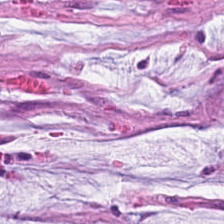FFPE tissue section; H&E — Mucin.
